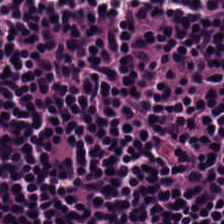H&E.
Predominant tissue — lymphocytic infiltrate.
